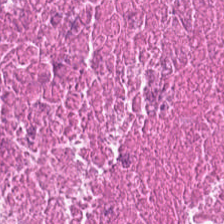Formalin-fixed paraffin-embedded section · 224×224 px tile · H&E — This field is necrotic debris.
